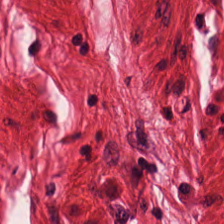H&E stain.
This field is smooth-muscle tissue.
